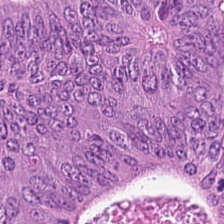Brightfield; hematoxylin and eosin — Predominantly tumor epithelium.
